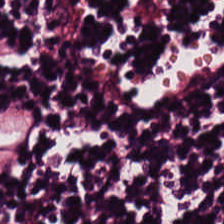H&E-stained tissue section. FFPE tissue section. 20× equivalent magnification. The predominant tissue is lymphocyte aggregate.
